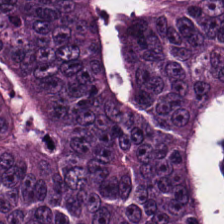H&E-stained tissue section.
Adenocarcinoma.
